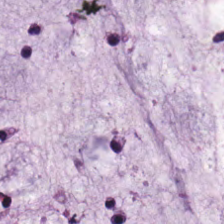224×224 px patch · H&E-stained tissue section — Predominantly mucus.
